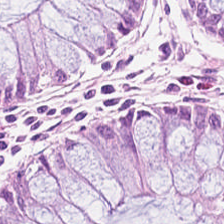Stain: H&E stain.
Acquisition: brightfield.
Predominant tissue: normal colonic mucosa.
